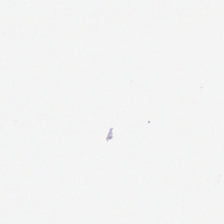Hematoxylin and eosin; 0.5 µm/px; whole-slide-image patch — Finding → empty background.
